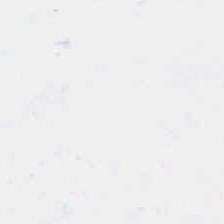224×224 px patch. Hematoxylin-and-eosin stained section — Empty field — background.
